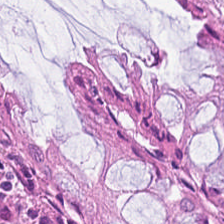20× equivalent magnification; hematoxylin-and-eosin stained section — Q: What type of tissue is this?
A: Normal colon mucosa.
